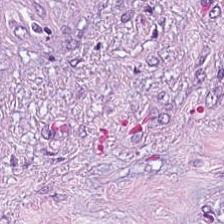H&E — The tissue here is tumor stroma.
